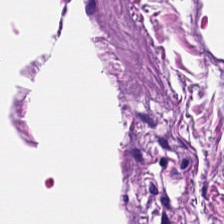Hematoxylin and eosin.
Showing smooth-muscle tissue.
